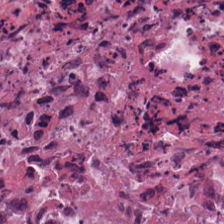H&E-stained tissue section; FFPE tissue section; 0.5 microns per pixel — Finding — cellular debris.
